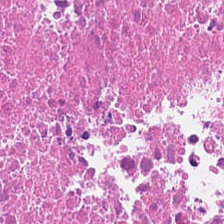Stain: H&E-stained tissue section.
Classification: debris.
